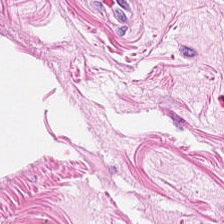H&E-stained tissue section. The predominant tissue is muscularis.
